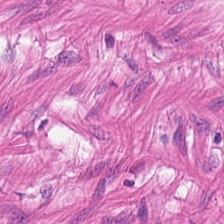H&E stain. Smooth-muscle tissue.
